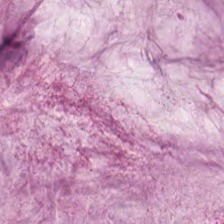Tissue class = extracellular mucin.
